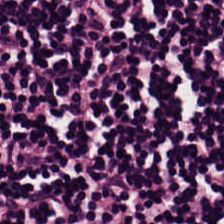0.5 µm per pixel. H&E-stained tissue section.
Finding — lymphocyte aggregate.
